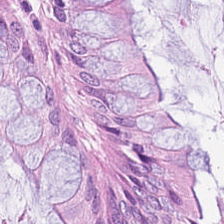Hematoxylin and eosin — {"tissue_type": "benign colonic mucosa"}
